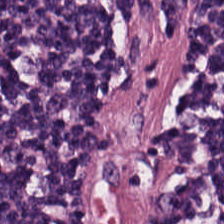H&E stain. Q: What is the predominant tissue type?
A: It is lymphocyte aggregate.
